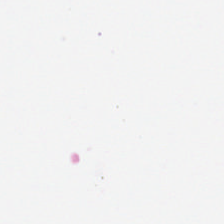Stain: hematoxylin-and-eosin stained section.
Classification: empty background.
